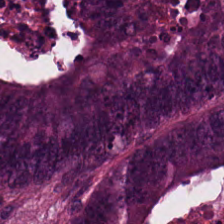H&E stain — This patch shows malignant epithelium.
